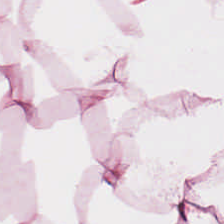H&E stain. FFPE tissue section — The predominant tissue is fat tissue.
